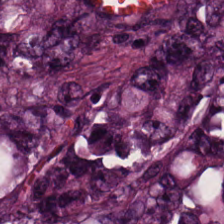H&E patch showing adenocarcinoma.
